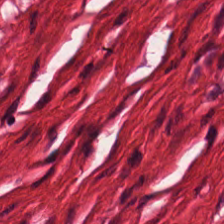Hematoxylin-and-eosin stained section; 0.5 µm per pixel.
Finding → smooth muscle.
